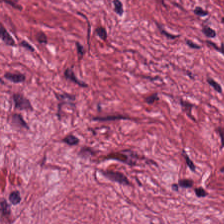Tissue = tumor-associated stroma.
